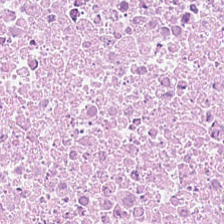H&E stain. Predominant tissue — debris.
